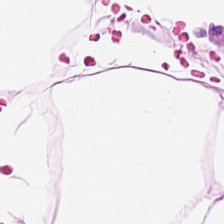0.5 microns per pixel. Hematoxylin and eosin — Predominantly fat tissue.
